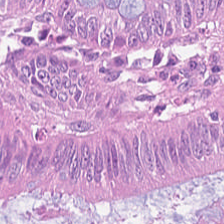H&E stain. This patch shows malignant epithelium.
